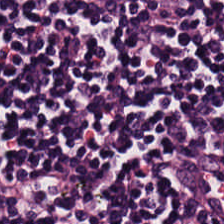H&E-stained tissue section — Predominant tissue: lymphocytes.
